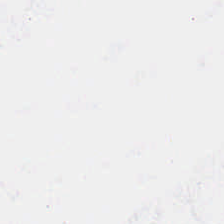H&E-stained tissue section · 0.5 microns per pixel · 224×224 px patch — Background — no tissue in this field.
